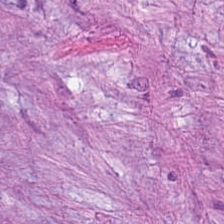Histology → tumor-associated stroma.
